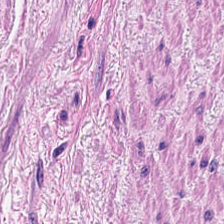The predominant tissue is muscularis.
